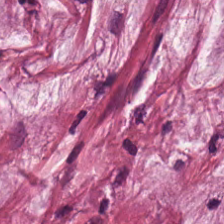H&E-stained tissue section. Classification — extracellular mucin.
